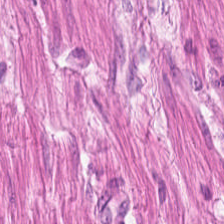FFPE tissue section. H&E.
Q: What is shown here?
A: It is smooth muscle.
